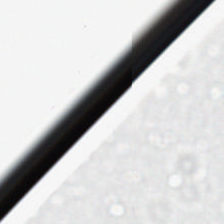Hematoxylin and eosin — Classification = empty background.
